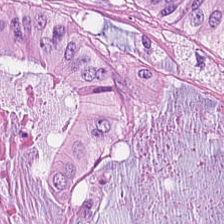Hematoxylin and eosin — Impression — colorectal adenocarcinoma epithelium.
